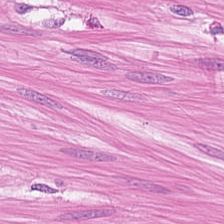Hematoxylin and eosin — Showing muscularis.
